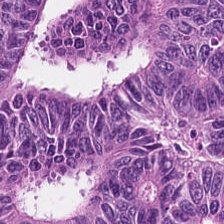Predominant tissue: tumor epithelium.
